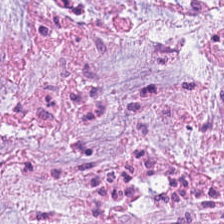H&E-stained tissue section. Tissue class — desmoplastic stroma.
